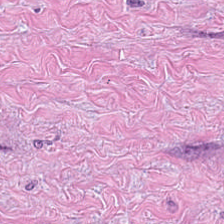Showing cancer-associated stroma.
